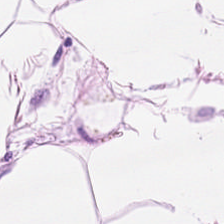Q: What tissue type is shown here?
A: Adipose.
